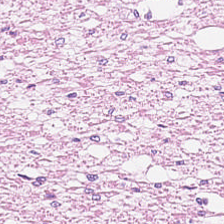Q: Identify the tissue.
A: It is smooth-muscle tissue.
